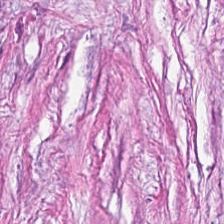H&E-stained tissue section; whole-slide-image patch — Showing desmoplastic stroma.
